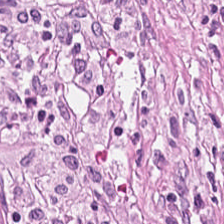H&E stain.
The predominant tissue is tumor stroma.
